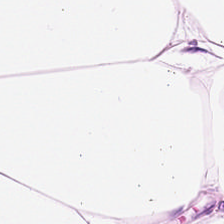FFPE · hematoxylin and eosin. Showing fat tissue.
